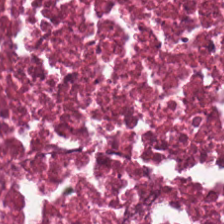Predominant tissue — necrotic debris.
